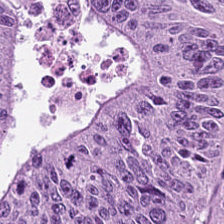H&E-stained tissue section; 0.5 µm/px.
The predominant tissue is colorectal adenocarcinoma.
